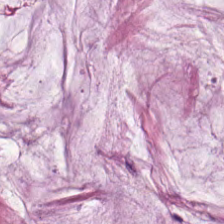0.5 µm per pixel · H&E. Predominantly mucin.
